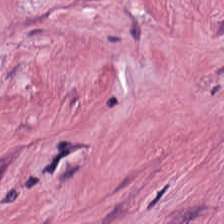Histology — tumor stroma.
